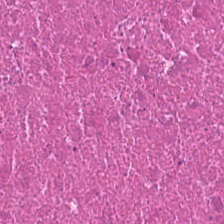H&E; 224×224 pixel tile.
This field is cellular debris.
